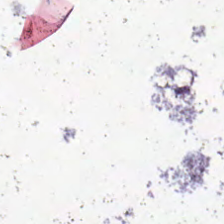Brightfield microscopy · formalin-fixed paraffin-embedded section · hematoxylin-and-eosin stained section.
The classification is background (no tissue).
